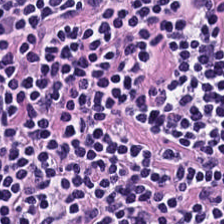H&E. Predominantly lymphocytes.
